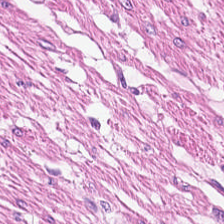Hematoxylin and eosin · 0.5 microns per pixel. Tissue type — muscularis.
